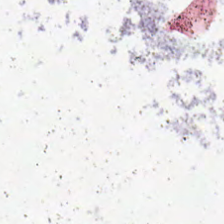The content is background.
